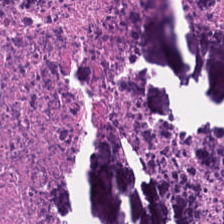Stain: hematoxylin-and-eosin stained section.
Predominant tissue: cellular debris.
